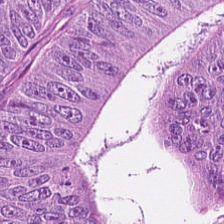Brightfield · H&E stain — This field is malignant epithelium.
